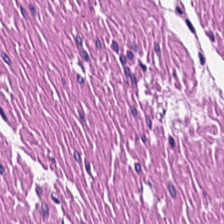Whole-slide-image patch. Hematoxylin-and-eosin stained section. 0.5 µm/px — Predominantly smooth-muscle tissue.
